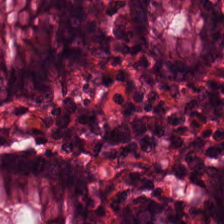WSI patch. 224×224 pixel tile. Hematoxylin and eosin.
The tissue here is benign colonic mucosa.
